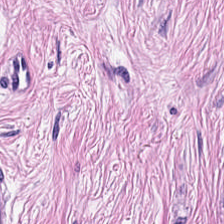FFPE tissue section · H&E stain · brightfield microscopy. Q: Classify this patch.
A: It is desmoplastic stroma.
